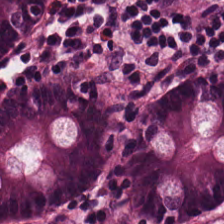224×224 px patch; H&E stain.
Tissue type = normal colonic mucosa.
